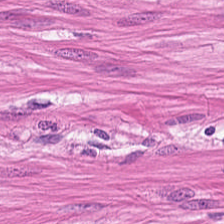H&E-stained tissue section.
The predominant tissue is smooth muscle.
